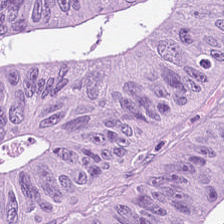FFPE tissue section · H&E stain. Predominant tissue — adenocarcinoma.
